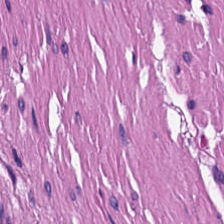Stain: hematoxylin-and-eosin stained section.
Tile size: 224×224 pixel tile.
Tissue class: smooth-muscle tissue.
